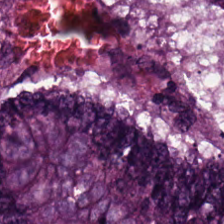224×224 pixel tile. Formalin-fixed paraffin-embedded section. H&E. The predominant tissue is tumor epithelium.
